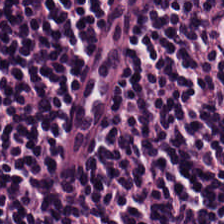Hematoxylin and eosin. Impression — lymphoid infiltrate.
